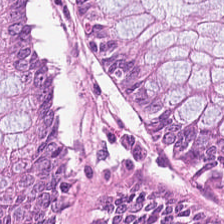H&E stain — The tissue here is normal colon mucosa.
